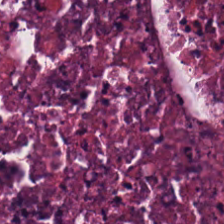0.5 µm/px. Hematoxylin-and-eosin stained section. FFPE — Debris.
